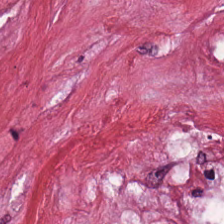The classification is tumor stroma.
